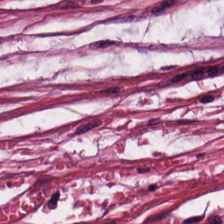Stain: hematoxylin-and-eosin stained section.
Tissue: tumor-associated stroma.
